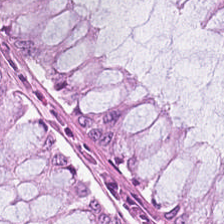Hematoxylin-and-eosin stained section — Impression → normal colonic mucosa.
